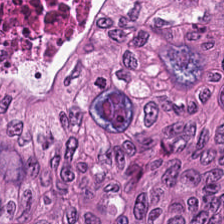0.5 microns per pixel. 224×224 pixel tile. H&E stain — This patch shows tumor epithelium.
